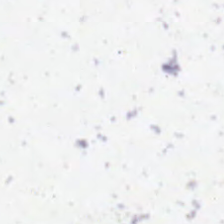H&E. 20× equivalent magnification.
This patch shows background.
